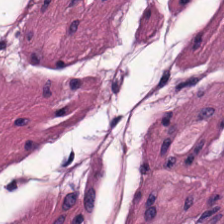H&E — Classification — muscularis.
